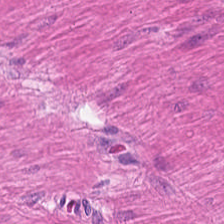FFPE tissue section; brightfield microscopy; H&E.
This patch shows smooth-muscle tissue.
